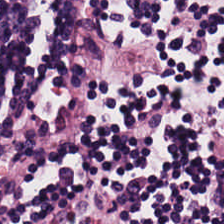Hematoxylin and eosin. 0.5 microns per pixel.
Lymphocyte aggregate.
